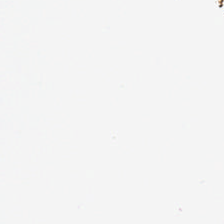Stain: hematoxylin-and-eosin stained section.
Content: background.
